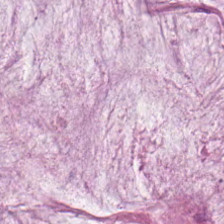H&E · formalin-fixed paraffin-embedded section · 224×224 px tile — The predominant tissue is mucin.
